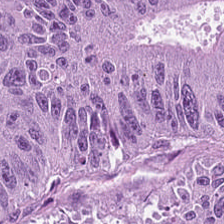Stain: hematoxylin and eosin.
Preparation: formalin-fixed paraffin-embedded section.
Tissue class: colorectal adenocarcinoma epithelium.
